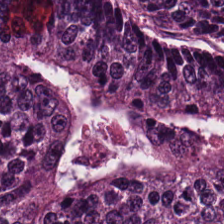This patch shows colorectal adenocarcinoma epithelium.
